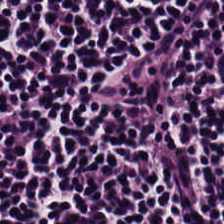The tissue here is lymphocytes.
